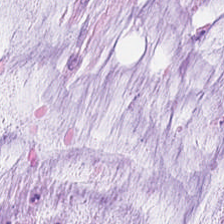H&E-stained tissue section. Tissue = extracellular mucin.
